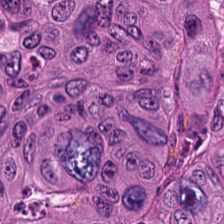H&E stain · 20× equivalent magnification. Classification = colorectal adenocarcinoma.
